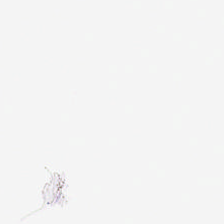Content — empty background.
